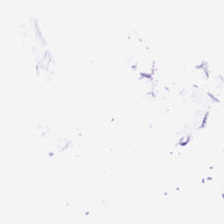No tissue.
